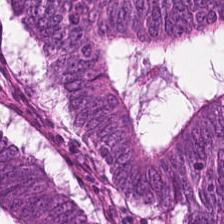The predominant tissue is adenocarcinoma.
